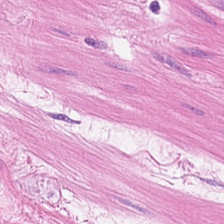FFPE · H&E-stained tissue section.
Smooth muscle.
